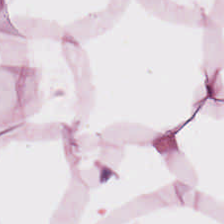H&E-stained tissue section — The tissue here is adipose.
